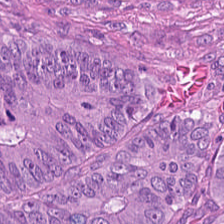Hematoxylin and eosin; whole-slide-image patch.
Histology → colorectal adenocarcinoma.
